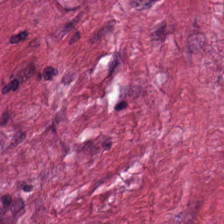This field is cancer-associated stroma.
